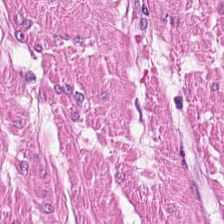H&E-stained tissue section.
This patch shows muscularis.
